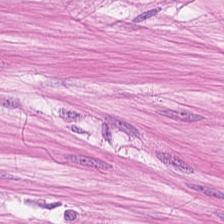H&E stain; 224×224 px patch; 0.5 microns per pixel. {"tissue_type": "muscularis"}
